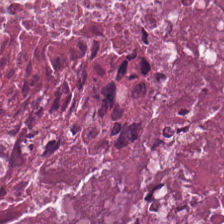Stain: H&E stain.
Classification: necrotic debris.
